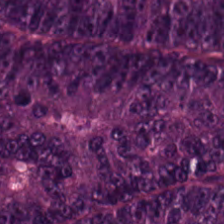FFPE; hematoxylin and eosin.
The tissue here is colorectal adenocarcinoma epithelium.
